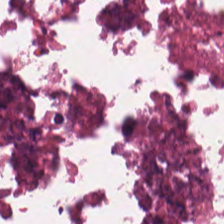H&E stain.
This field is debris.
